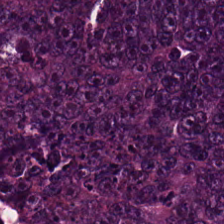Hematoxylin-and-eosin stained section. The tissue is colorectal adenocarcinoma.
